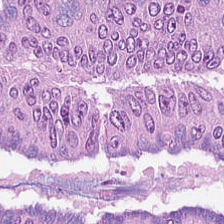H&E — Tissue class: malignant epithelium.
